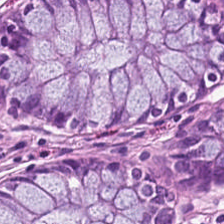Hematoxylin and eosin — Showing benign colonic mucosa.
